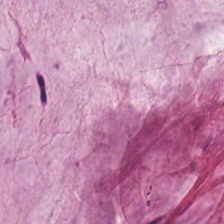Brightfield microscopy. Hematoxylin and eosin. Q: What tissue is shown?
A: Mucus.
